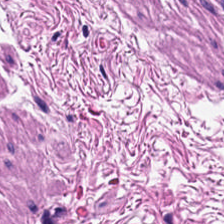H&E; FFPE tissue section.
Classification: smooth muscle.
